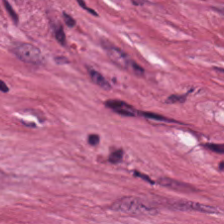Hematoxylin and eosin. {"tissue_type": "desmoplastic stroma"}
